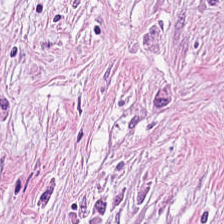H&E stain. The predominant tissue is cancer-associated stroma.
